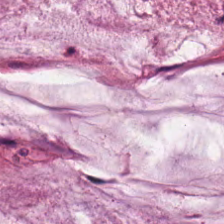Hematoxylin and eosin. Formalin-fixed paraffin-embedded section. Predominantly mucin.
